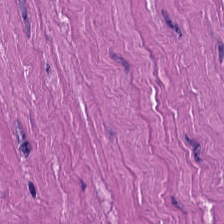0.5 µm per pixel; H&E.
The tissue class is muscularis.
